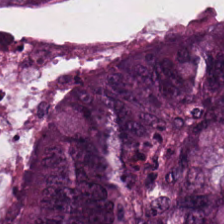H&E-stained tissue section showing tumor epithelium.
